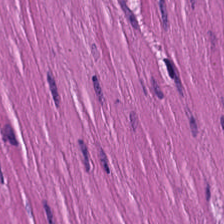Hematoxylin and eosin. Impression → smooth-muscle tissue.
